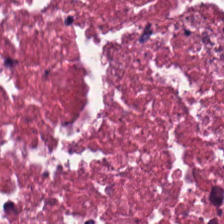H&E stain.
Showing necrotic debris.
